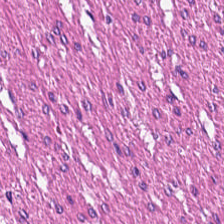Hematoxylin and eosin; 0.5 µm/px.
Smooth-muscle tissue.
